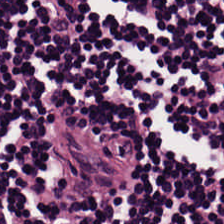WSI patch · 224×224 px patch · H&E.
Showing lymphocytic infiltrate.
